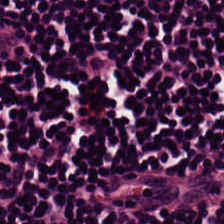Classification: lymphocyte aggregate.
